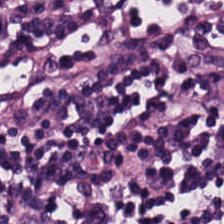Hematoxylin and eosin; 224×224 pixel tile.
Q: What is shown in this field?
A: It is lymphoid infiltrate.
